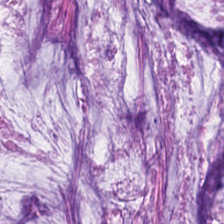Hematoxylin and eosin. Whole-slide-image patch.
Histology — mucin.
